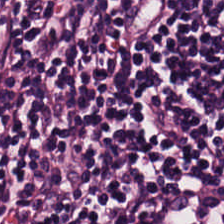Lymphoid infiltrate.
